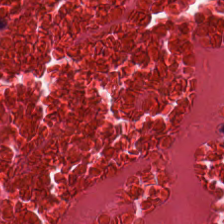Hematoxylin and eosin. {"tissue_type": "cellular debris"}
